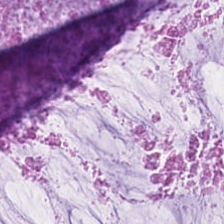Formalin-fixed paraffin-embedded section · 20× equivalent magnification · H&E stain — This patch shows extracellular mucin.
